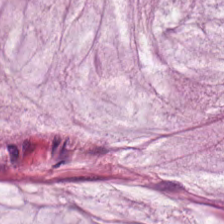H&E stain — The tissue here is mucus.
